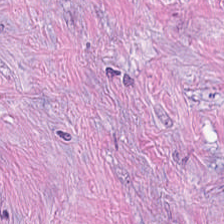H&E-stained tissue section showing tumor stroma.
